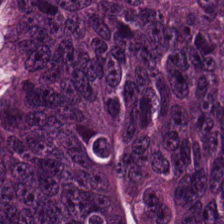H&E stain; 0.5 microns per pixel. Predominantly colorectal adenocarcinoma epithelium.
